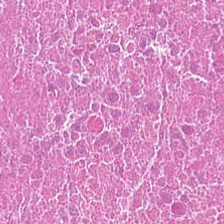Stain: H&E.
Classification: cellular debris.
